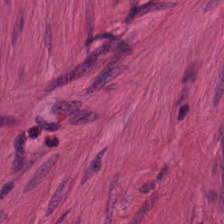Stain: H&E.
Resolution: 20× equivalent magnification.
Preparation: FFPE tissue section.
Tissue type: smooth-muscle tissue.
